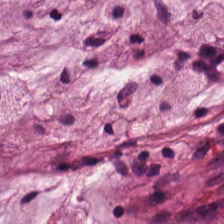H&E; 224×224 px tile — Q: What tissue type is shown here?
A: Mucin.
